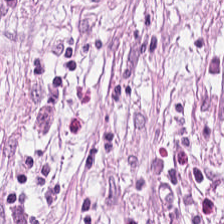Hematoxylin and eosin.
Showing desmoplastic stroma.
